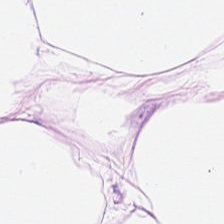Showing fat tissue.
